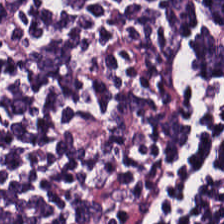Hematoxylin and eosin · 20× equivalent magnification.
The classification is lymphoid infiltrate.
